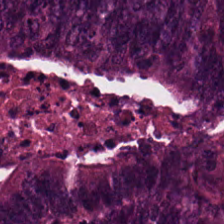0.5 µm/px · H&E · FFPE tissue section.
Finding — malignant epithelium.
